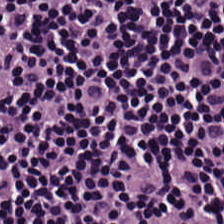FFPE tissue section · H&E-stained tissue section — This field is lymphocytic infiltrate.
